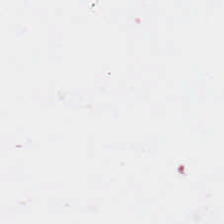Hematoxylin-and-eosin stained section — Field content — no tissue.
